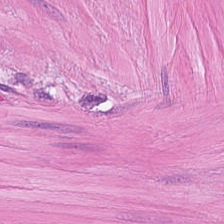Stain: hematoxylin-and-eosin stained section.
Tissue class: smooth muscle.
